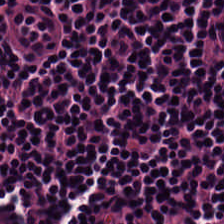Stain: H&E-stained tissue section.
Tissue type: lymphocyte aggregate.
